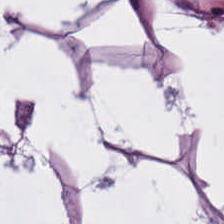H&E stain.
Q: Identify the tissue.
A: The field shows adipose tissue.
